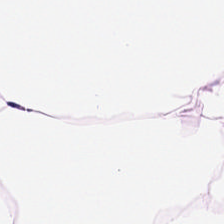Hematoxylin-and-eosin stained section. 224×224 pixel tile. FFPE.
Q: What type of tissue is this?
A: Adipocytes.
